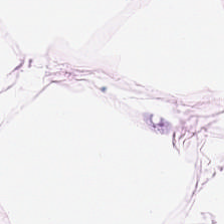Stain: H&E stain.
Acquisition: brightfield microscopy.
Tissue class: fat tissue.
